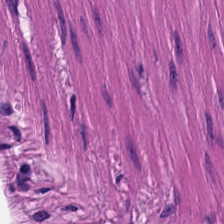Stain: hematoxylin-and-eosin stained section.
Tile size: 224×224 pixel tile.
Preparation: formalin-fixed paraffin-embedded section.
Tissue class: muscularis.
